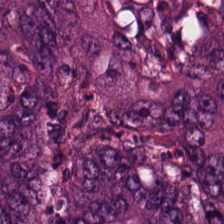FFPE tissue section. Whole-slide-image patch. H&E. Classification = adenocarcinoma.
